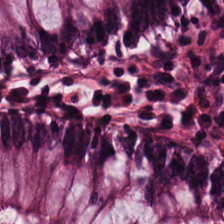Brightfield microscopy. H&E stain.
Q: What is shown in this field?
A: The field shows normal colonic mucosa.
